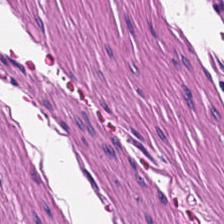This patch shows smooth-muscle tissue.
